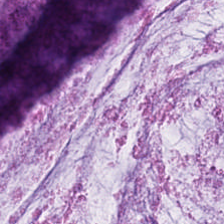Hematoxylin and eosin. FFPE.
This patch shows mucin.
